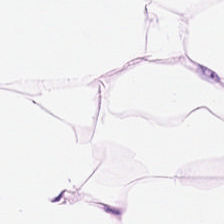Stain: hematoxylin and eosin.
Classification: adipose tissue.
